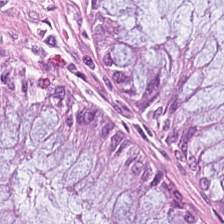H&E-stained tissue section · brightfield.
The predominant tissue is non-neoplastic colon mucosa.
